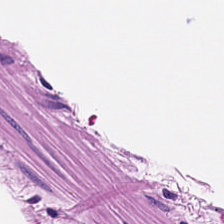Hematoxylin and eosin. {"tissue_type": "smooth-muscle tissue"}
